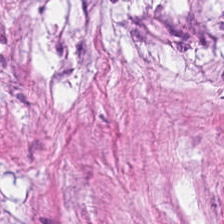0.5 microns per pixel. FFPE. H&E-stained tissue section.
Predominantly tumor stroma.
